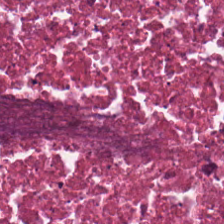H&E-stained tissue section. Whole-slide-image patch — Finding — cellular debris.
